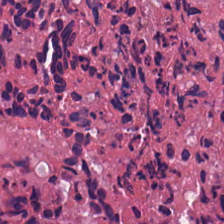Classification — debris.
